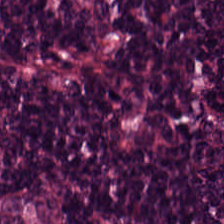Hematoxylin and eosin — Tissue: lymphoid infiltrate.
